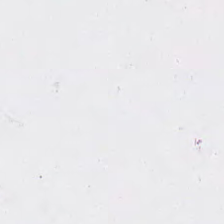H&E. FFPE tissue section. Whole-slide-image patch. Q: Classify this patch.
A: No tissue.
